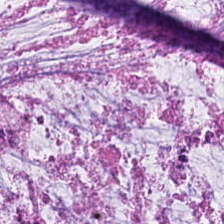Hematoxylin-and-eosin stained section — Q: What tissue is shown?
A: It is mucin.
